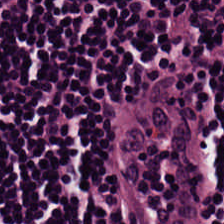Formalin-fixed paraffin-embedded section. Hematoxylin and eosin — Classification: lymphocytes.
